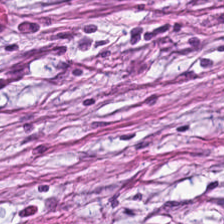Formalin-fixed paraffin-embedded section; H&E-stained tissue section; 0.5 µm/px.
Histology — desmoplastic stroma.
